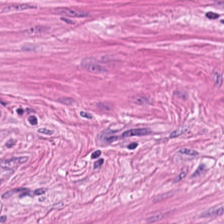Hematoxylin-and-eosin stained section.
Tissue = smooth muscle.
